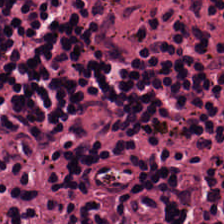FFPE. H&E stain — Tissue type = lymphoid infiltrate.
